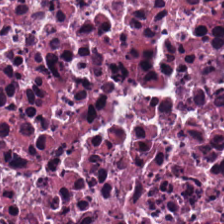Hematoxylin and eosin.
Showing necrotic debris.
